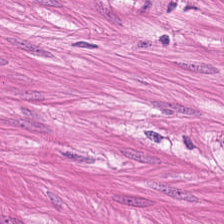224×224 pixel tile; H&E stain.
The tissue type is smooth-muscle tissue.
